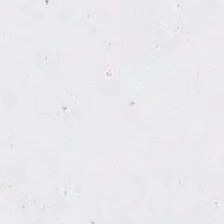H&E stain — No tissue.
